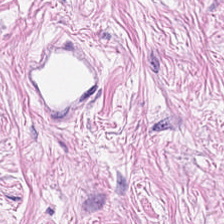This patch shows desmoplastic stroma.
